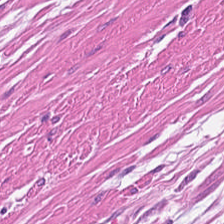H&E patch showing muscularis.
